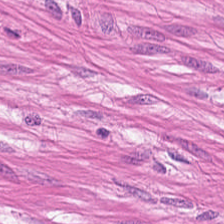Hematoxylin and eosin.
Smooth-muscle tissue.
